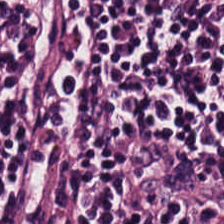H&E-stained tissue section — Predominant tissue: lymphoid infiltrate.
